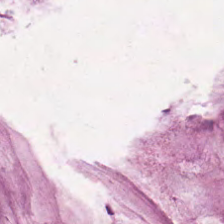Stain: hematoxylin-and-eosin stained section.
Tissue class: mucus.
